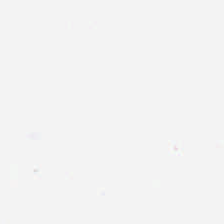Content: empty background.
